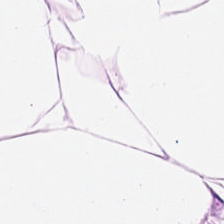This field is adipocytes.
